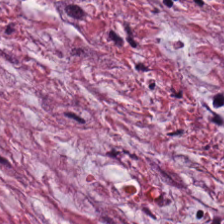H&E-stained tissue section. The predominant tissue is tumor-associated stroma.
